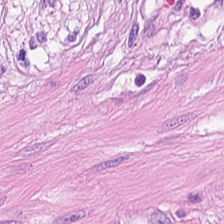H&E · 0.5 µm per pixel — Finding — smooth-muscle tissue.
